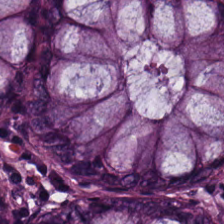Stain: H&E.
Predominant tissue: benign colonic mucosa.
